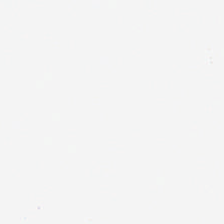Hematoxylin and eosin.
Empty background.
